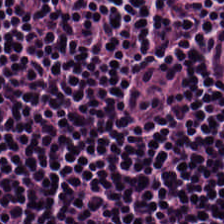Hematoxylin and eosin · 224×224 px patch · brightfield microscopy.
The tissue here is lymphocyte aggregate.
